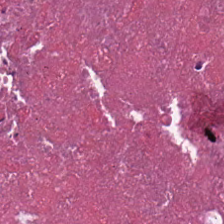Showing cellular debris.
